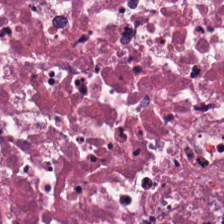The tissue type is debris.
